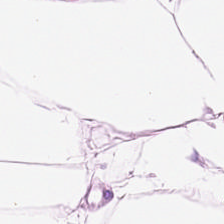FFPE. H&E. 0.5 µm/px.
Adipose tissue.
